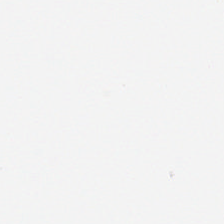Whole-slide-image patch · H&E-stained tissue section — This patch shows empty background.
